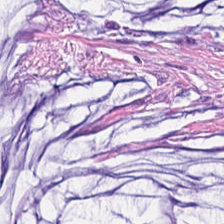224×224 pixel tile; hematoxylin-and-eosin stained section. The predominant tissue is tumor-associated stroma.
